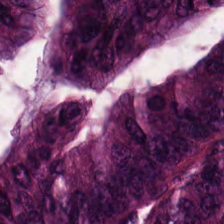H&E stain · 0.5 µm/px.
Q: What is the predominant tissue type?
A: This is colorectal adenocarcinoma epithelium.
